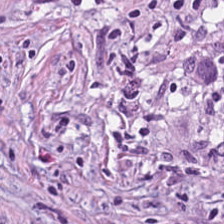H&E stain · 224×224 px patch.
The tissue here is desmoplastic stroma.
